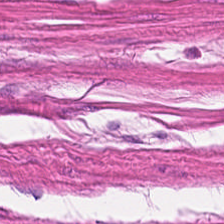Hematoxylin and eosin. Smooth-muscle tissue.
